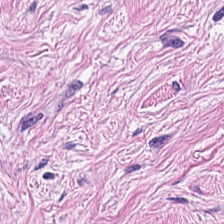224×224 pixel tile. H&E-stained tissue section — Histology → cancer-associated stroma.
